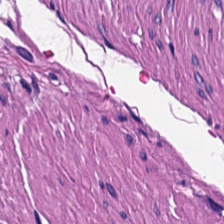Finding → smooth-muscle tissue.
